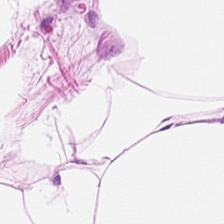WSI patch; 20× equivalent magnification; hematoxylin and eosin. Q: What type of tissue is this?
A: It is adipose tissue.
